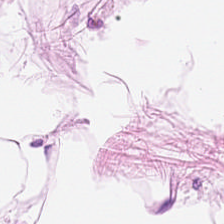Hematoxylin and eosin — Q: What is shown here?
A: The field shows fat tissue.
